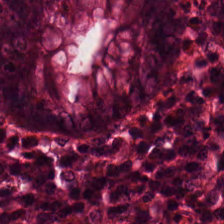0.5 µm/px. H&E. Q: What tissue type is shown here?
A: The field shows normal colon mucosa.
